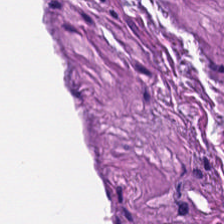Predominantly muscularis.
